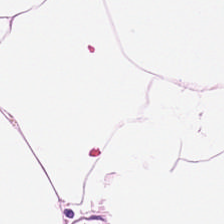Hematoxylin-and-eosin stained section; 224×224 px tile. Adipose tissue.
